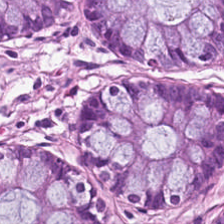Hematoxylin and eosin.
Q: What is shown in this field?
A: This is non-neoplastic colon mucosa.
